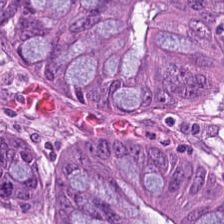Hematoxylin-and-eosin stained section. Classification: adenocarcinoma.
